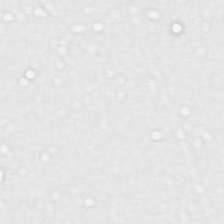Stain: H&E-stained tissue section.
Acquisition: whole-slide-image patch.
Field content: background (no tissue).
